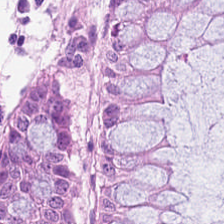H&E. The tissue here is normal colonic mucosa.
